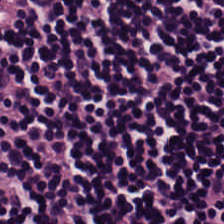Predominantly lymphocyte aggregate.
